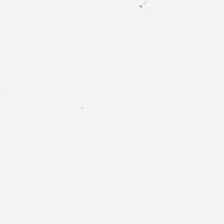Hematoxylin and eosin · 224×224 px tile · brightfield. Background — no tissue in this field.
